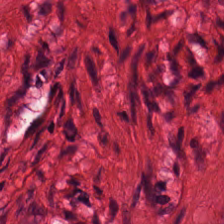Stain: H&E stain.
Tissue class: smooth-muscle tissue.
